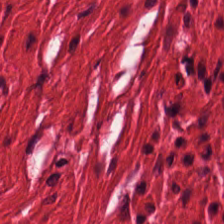H&E-stained tissue section — The classification is smooth-muscle tissue.
